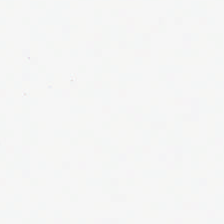H&E · formalin-fixed paraffin-embedded section. Q: Classify this patch.
A: The field shows background (no tissue).
